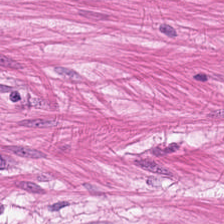Impression — smooth muscle.
